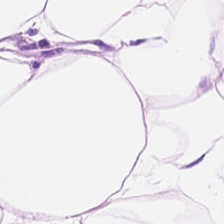Hematoxylin-and-eosin stained section.
{"tissue_type": "adipose tissue"}
